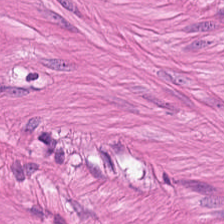Brightfield microscopy; FFPE tissue section; H&E stain.
Showing muscularis.
